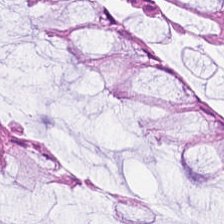H&E-stained tissue section showing normal colon mucosa.
